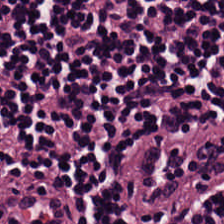Hematoxylin-and-eosin stained section. The predominant tissue is lymphocytic infiltrate.
